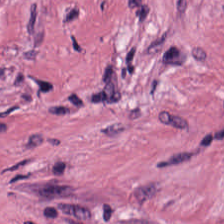This field is desmoplastic stroma.
